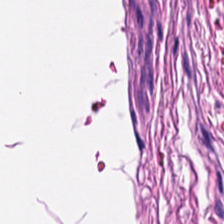H&E stain. Histology — muscularis.
